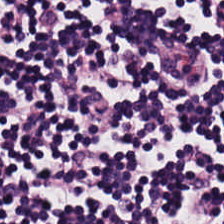H&E-stained tissue section. Q: What is shown here?
A: This is lymphocytes.
